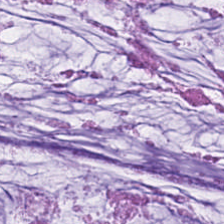Stain: H&E.
Tissue class: extracellular mucin.
